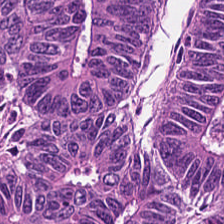224×224 pixel tile; hematoxylin and eosin. Finding — colorectal adenocarcinoma.
